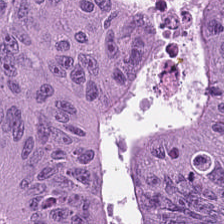Q: Classify this patch.
A: The field shows adenocarcinoma.
